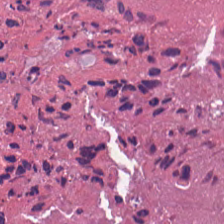Hematoxylin and eosin — Classification = cellular debris.
